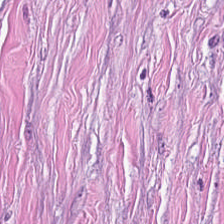H&E. 0.5 µm per pixel.
Q: What is the predominant tissue type?
A: This is desmoplastic stroma.
